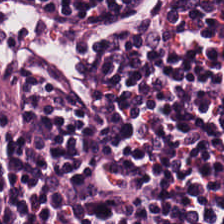H&E.
{"tissue_type": "lymphocytic infiltrate"}
